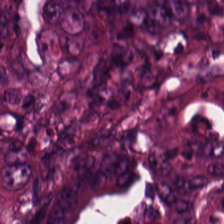Hematoxylin and eosin. Tissue type: colorectal adenocarcinoma.
